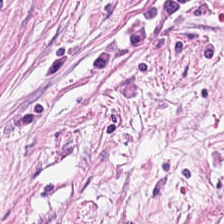WSI patch; formalin-fixed paraffin-embedded section; hematoxylin-and-eosin stained section. This field is tumor stroma.
